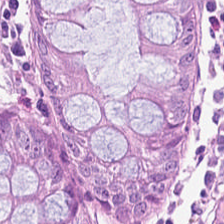Histology → normal colonic mucosa.
